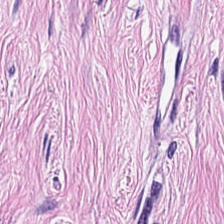Hematoxylin and eosin — The tissue is desmoplastic stroma.
